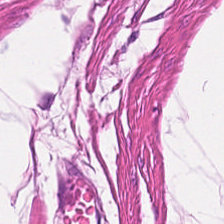224×224 px patch; WSI patch; hematoxylin-and-eosin stained section.
{"tissue_type": "smooth muscle"}
